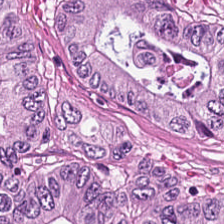0.5 µm per pixel · H&E stain — The predominant tissue is colorectal adenocarcinoma epithelium.
